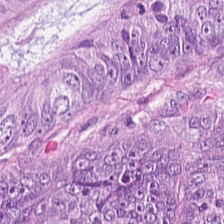Hematoxylin and eosin. Tissue = adenocarcinoma.
